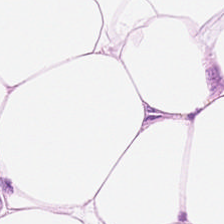The classification is adipose.
